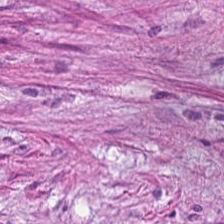{"tissue_type": "tumor-associated stroma"}
